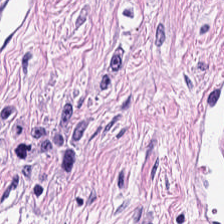This field is desmoplastic stroma.
